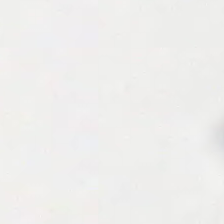Stain: H&E.
Classification: background (no tissue).
